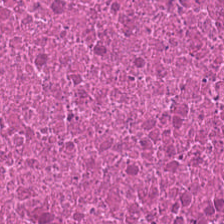Q: What tissue is shown?
A: The field shows cellular debris.
